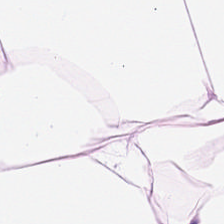Q: What does this patch show?
A: The field shows fat tissue.
